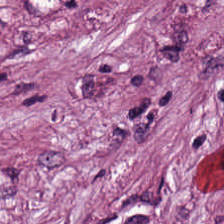H&E-stained tissue section. The tissue type is tumor stroma.
